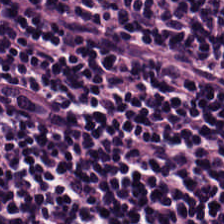H&E — lymphocytes.
